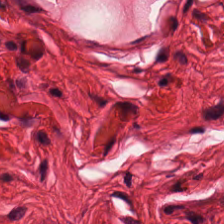H&E — {"tissue_type": "smooth-muscle tissue"}
